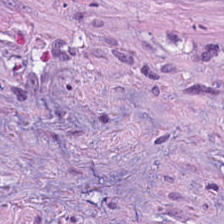224×224 pixel tile; H&E-stained tissue section; formalin-fixed paraffin-embedded section — Predominantly cancer-associated stroma.
